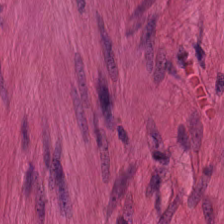Stain: H&E.
Preparation: FFPE.
Classification: smooth muscle.
